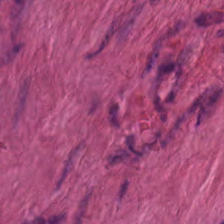Stain: hematoxylin and eosin.
Tissue class: muscularis.
